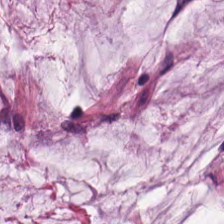H&E stain. Classification: mucus.
